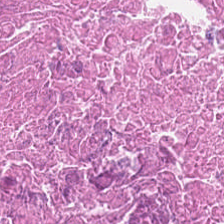Cellular debris.
